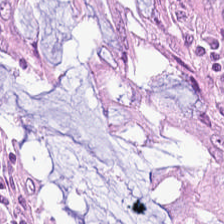Formalin-fixed paraffin-embedded section · hematoxylin and eosin — This patch shows normal colonic mucosa.
